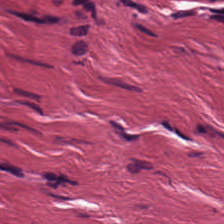H&E stain.
Tumor stroma.
